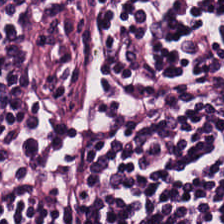H&E stain. 224×224 px patch — Tissue class = lymphocyte aggregate.
